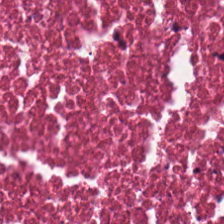Stain: hematoxylin-and-eosin stained section.
Tissue class: necrotic debris.
